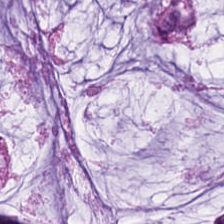{"tissue_type": "mucin"}
